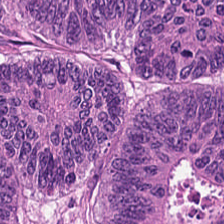224×224 px tile; brightfield microscopy; H&E — Predominantly adenocarcinoma.
